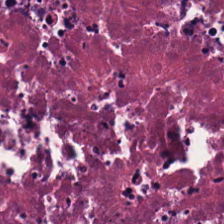H&E.
The tissue here is necrotic debris.
